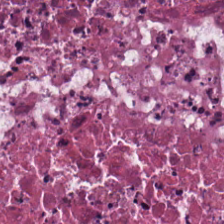H&E stain.
Predominant tissue — necrotic debris.
